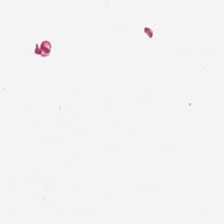Classification = no tissue.
